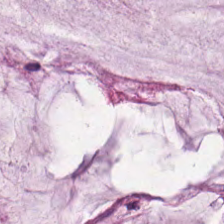Q: What tissue type is shown here?
A: This is extracellular mucin.
